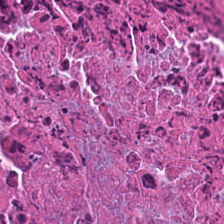H&E. Tissue class = debris.
